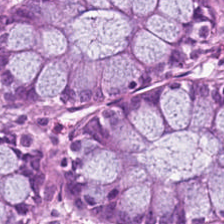0.5 microns per pixel · H&E stain · 224×224 pixel tile — {"tissue_type": "normal colon mucosa"}
